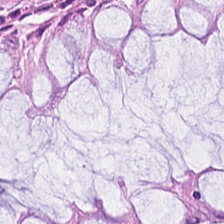{"tissue_type": "normal colonic mucosa"}
